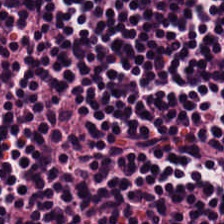Formalin-fixed paraffin-embedded section · H&E · brightfield — The tissue type is lymphocytic infiltrate.
